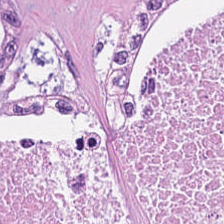{"tissue_type": "debris"}
